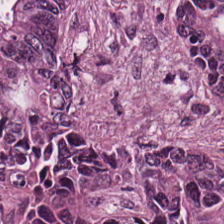Hematoxylin and eosin. 0.5 µm per pixel. 224×224 px patch — {"tissue_type": "malignant epithelium"}
